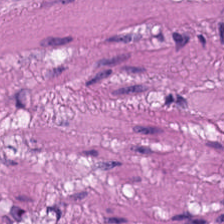H&E · formalin-fixed paraffin-embedded section · 0.5 µm per pixel — The tissue here is smooth muscle.
